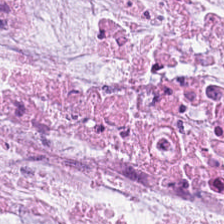224×224 px tile; hematoxylin-and-eosin stained section.
The predominant tissue is mucus.
